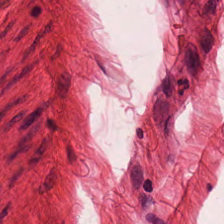Whole-slide-image patch; H&E-stained tissue section — The classification is smooth-muscle tissue.
